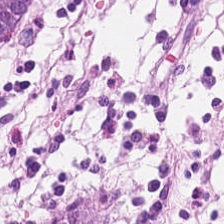0.5 microns per pixel; H&E; 224×224 px patch. The classification is benign colonic mucosa.
